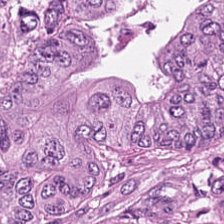H&E stain. 20× equivalent magnification. Formalin-fixed paraffin-embedded section — Tumor epithelium.
